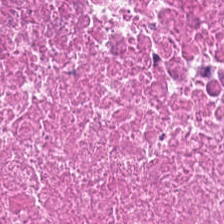WSI patch · H&E. The tissue class is necrotic debris.
